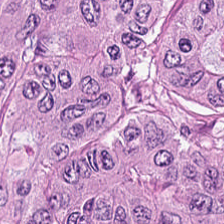FFPE; 224×224 pixel tile; H&E stain. The tissue here is adenocarcinoma.
